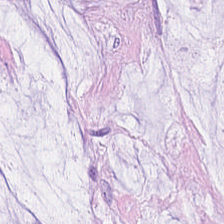224×224 px tile · H&E stain · 20× equivalent magnification. Tissue class — mucin.
